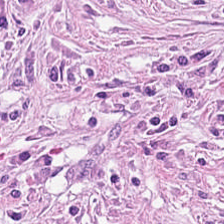FFPE tissue section · H&E — {"tissue_type": "tumor stroma"}
